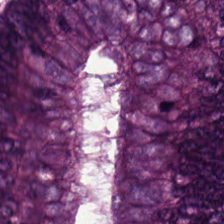H&E-stained tissue section. This patch shows malignant epithelium.
